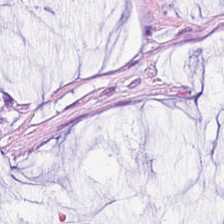{"tissue_type": "mucus"}
